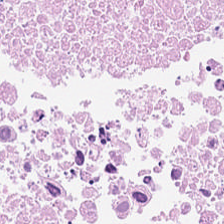Hematoxylin-and-eosin stained section — Q: What tissue type is shown here?
A: It is cellular debris.
